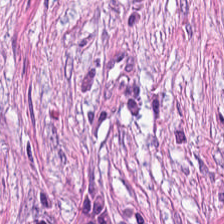Formalin-fixed paraffin-embedded section. H&E stain. Q: What is shown here?
A: It is cancer-associated stroma.
